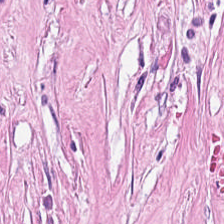Stain: hematoxylin and eosin.
Tile size: 224×224 pixel tile.
Tissue type: tumor stroma.
